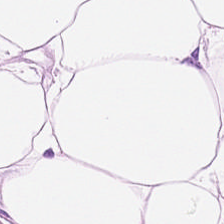Hematoxylin-and-eosin stained section · 224×224 px tile · whole-slide-image patch.
This field is adipose tissue.
